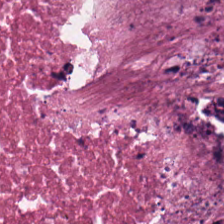{"tissue_type": "debris"}
